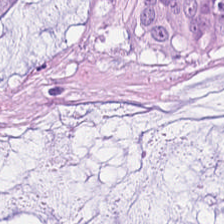FFPE · H&E stain.
Q: What is the predominant tissue type?
A: The field shows extracellular mucin.
